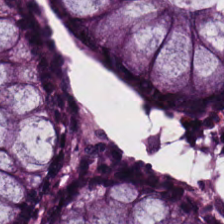Predominant tissue — benign colonic mucosa.
